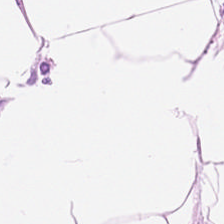Q: What tissue type is shown here?
A: This is adipose tissue.
